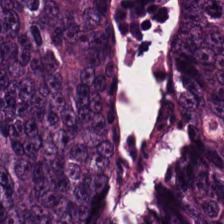Hematoxylin-and-eosin stained section.
Classification: tumor epithelium.
